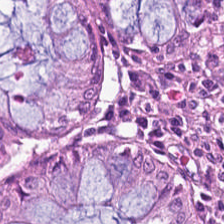H&E-stained section; the field shows benign colonic mucosa.
